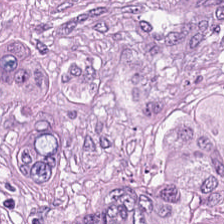Hematoxylin-and-eosin stained section.
Q: What is the predominant tissue type?
A: The field shows malignant epithelium.
